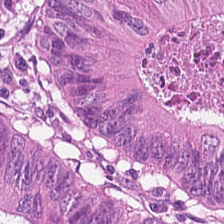Hematoxylin-and-eosin stained section; 0.5 microns per pixel. The predominant tissue is malignant epithelium.
